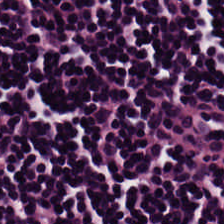H&E stain; WSI patch. The tissue here is lymphoid infiltrate.
